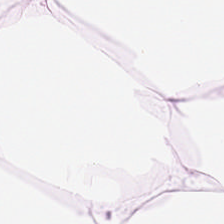Hematoxylin-and-eosin stained section · 224×224 pixel tile — Predominant tissue: adipose tissue.
